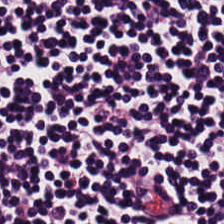H&E-stained tissue section. This field is lymphocytes.
